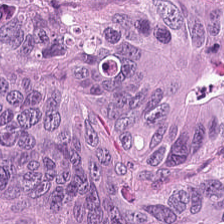This field is colorectal adenocarcinoma.
